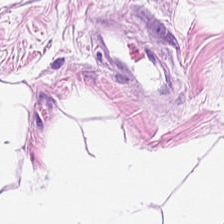H&E-stained tissue section.
Q: What does this patch show?
A: This is adipose tissue.
